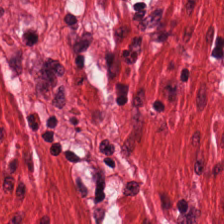FFPE. Hematoxylin-and-eosin stained section. 224×224 px tile. Showing muscularis.
